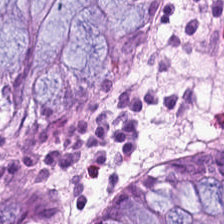Hematoxylin-and-eosin stained section.
Q: What is the predominant tissue type?
A: This is non-neoplastic colon mucosa.
